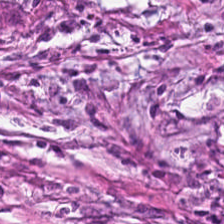0.5 µm per pixel. H&E-stained tissue section. The tissue here is cancer-associated stroma.
